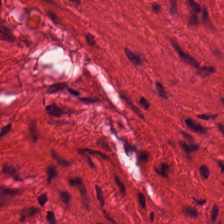Hematoxylin-and-eosin stained section; whole-slide-image patch.
Q: Classify this patch.
A: It is smooth muscle.
